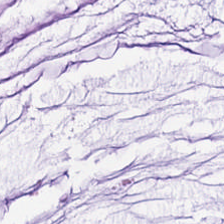H&E-stained tissue section. Tissue = mucin.
